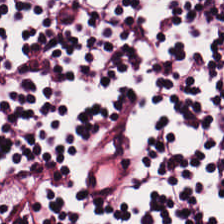H&E-stained section; the field shows lymphocytic infiltrate.
